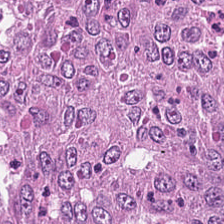H&E stain. Q: What type of tissue is this?
A: It is malignant epithelium.
